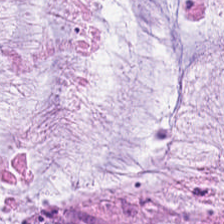The predominant tissue is extracellular mucin.
